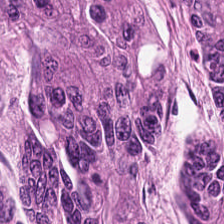224×224 pixel tile. H&E.
Q: What does this patch show?
A: The field shows colorectal adenocarcinoma.
